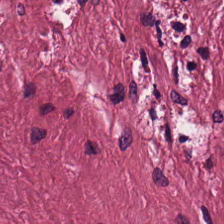H&E stain — {"tissue_type": "desmoplastic stroma"}
